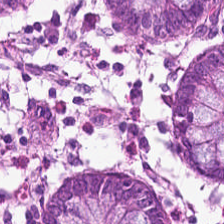H&E stain. 224×224 px patch. Q: What does this patch show?
A: Normal colonic mucosa.
